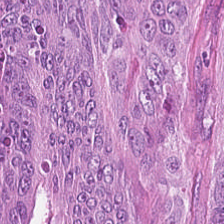H&E-stained tissue section — Tissue class: adenocarcinoma.
